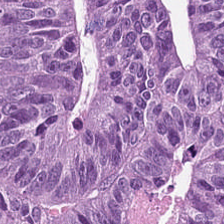Stain: H&E.
Tile size: 224×224 pixel tile.
Tissue type: colorectal adenocarcinoma.
